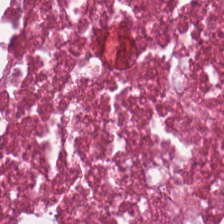Q: What does this patch show?
A: The field shows necrotic debris.
